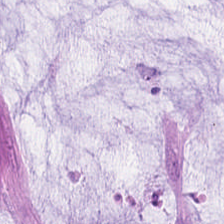H&E-stained tissue section showing mucus.
